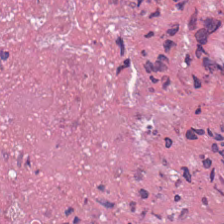FFPE. Hematoxylin-and-eosin stained section.
The predominant tissue is cellular debris.
